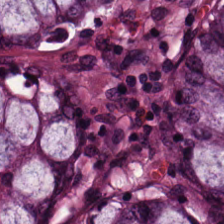H&E. {"tissue_type": "non-neoplastic colon mucosa"}
